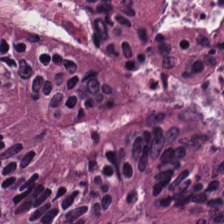Hematoxylin and eosin. Tissue type — tumor epithelium.
